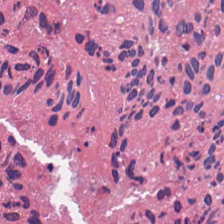H&E — debris.
